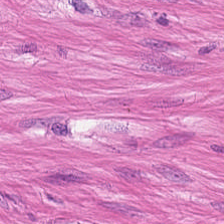0.5 µm/px; H&E-stained tissue section.
The tissue is muscularis.
